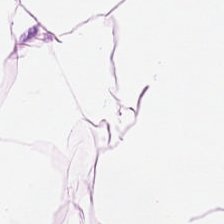Histology → adipocytes.
